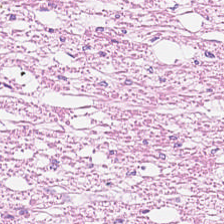Hematoxylin-and-eosin stained section · WSI patch.
Q: What tissue type is shown here?
A: This is smooth muscle.
